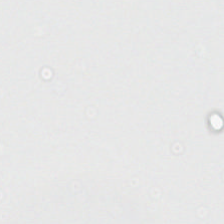Hematoxylin-and-eosin stained section.
Impression → background.
